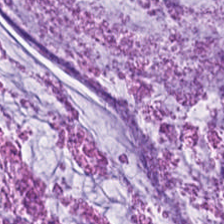224×224 px patch · hematoxylin-and-eosin stained section · FFPE — Q: Identify the tissue.
A: Extracellular mucin.
